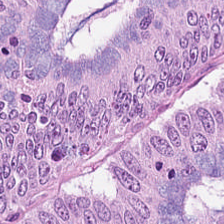The tissue class is tumor epithelium.
